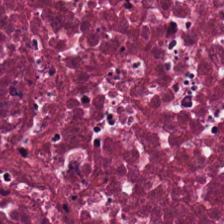WSI patch; H&E stain.
Predominantly necrotic debris.
